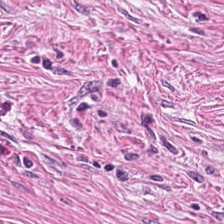H&E-stained tissue section showing cancer-associated stroma.
